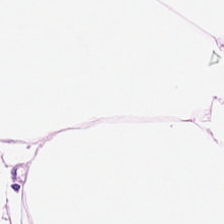FFPE. H&E-stained tissue section.
Q: What is the predominant tissue type?
A: It is adipose.
